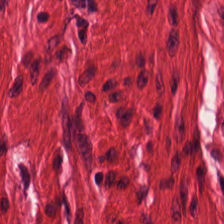Stain: H&E stain.
Resolution: 0.5 µm/px.
Tile size: 224×224 px tile.
Tissue class: muscularis.
